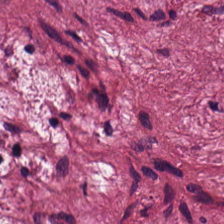H&E. This patch shows tumor stroma.
